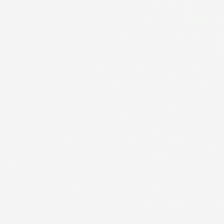Field content: background (no tissue).
